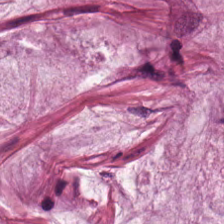Hematoxylin and eosin.
Tissue type — mucin.
